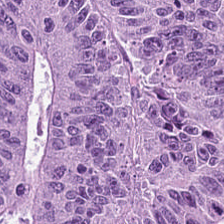H&E.
Histology → colorectal adenocarcinoma.
